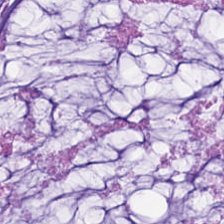Q: Identify the tissue.
A: The field shows extracellular mucin.
